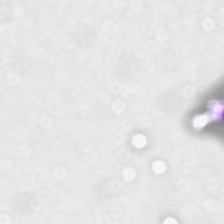Classification = background.
